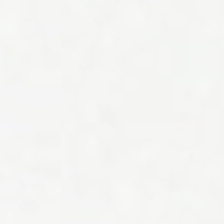Stain: H&E-stained tissue section.
Tile size: 224×224 px patch.
Preparation: formalin-fixed paraffin-embedded section.
Field content: no tissue.
